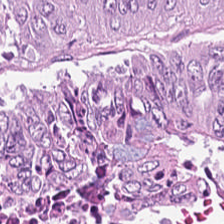FFPE · H&E-stained tissue section · 224×224 px tile. Colorectal adenocarcinoma epithelium.
